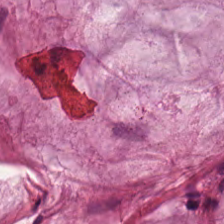224×224 px tile · hematoxylin-and-eosin stained section.
Q: What does this patch show?
A: It is mucin.
